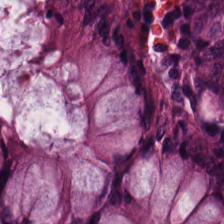Stain: H&E-stained tissue section.
Acquisition: WSI patch.
Preparation: FFPE.
Tissue class: benign colonic mucosa.
